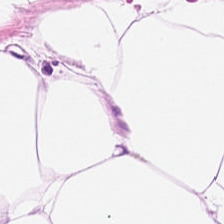Whole-slide-image patch; hematoxylin and eosin — Tissue class: adipocytes.
